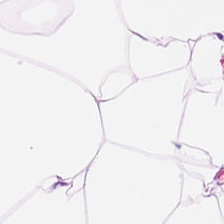0.5 µm/px; H&E stain.
Q: Classify this patch.
A: Adipose tissue.
